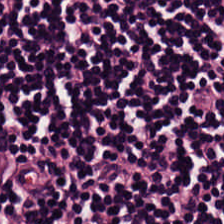Hematoxylin-and-eosin stained section — Impression — lymphocyte aggregate.
